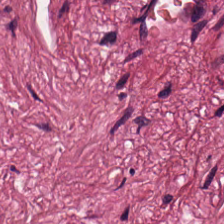Q: What tissue type is shown here?
A: Cancer-associated stroma.
